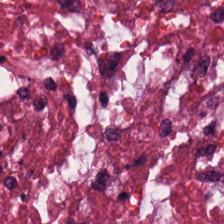Stain: hematoxylin and eosin.
Preparation: FFPE.
Tile size: 224×224 px patch.
Tissue type: debris.
